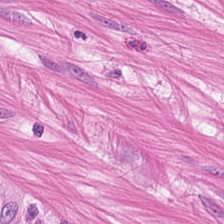Predominant tissue: muscularis.
